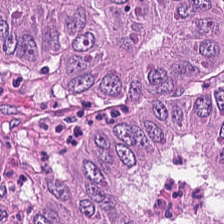Hematoxylin and eosin — Finding → colorectal adenocarcinoma epithelium.
